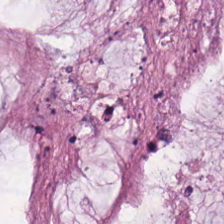H&E-stained tissue section; 224×224 px tile — Tissue = mucin.
